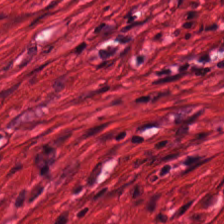Brightfield microscopy; hematoxylin-and-eosin stained section. Q: Identify the tissue.
A: The field shows smooth muscle.
